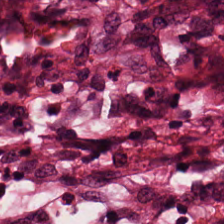H&E. Tissue type = cancer-associated stroma.
